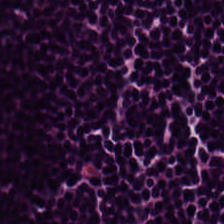H&E — The tissue here is lymphoid infiltrate.
